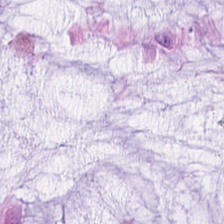The predominant tissue is extracellular mucin.
